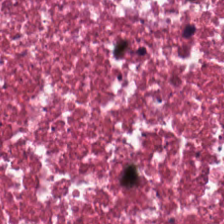Tissue type — cellular debris.
